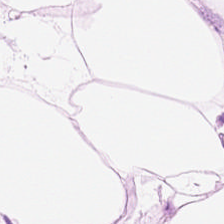H&E stain — Predominantly adipose.
